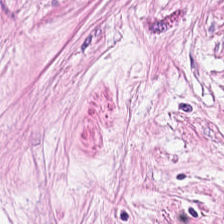H&E-stained section; the field shows desmoplastic stroma.
